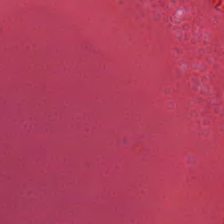H&E stain.
Q: What is shown here?
A: This is debris.
